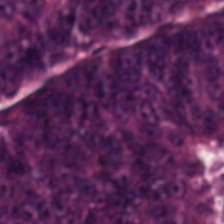224×224 px tile. H&E-stained tissue section. Whole-slide-image patch.
Showing tumor epithelium.
